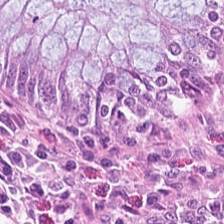H&E stain — Impression — non-neoplastic colon mucosa.
